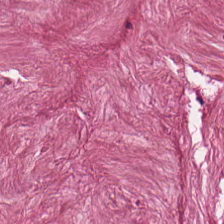H&E-stained tissue section. FFPE — Q: What does this patch show?
A: It is tumor-associated stroma.
